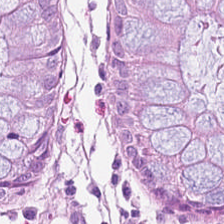Q: What tissue type is shown here?
A: Non-neoplastic colon mucosa.
